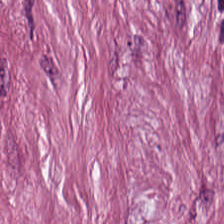0.5 µm per pixel · FFPE · hematoxylin and eosin — Finding → tumor-associated stroma.
